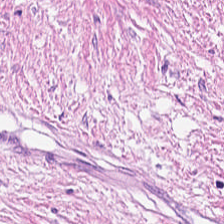The tissue here is tumor stroma.
